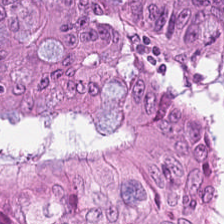{"tissue_type": "colorectal adenocarcinoma"}
